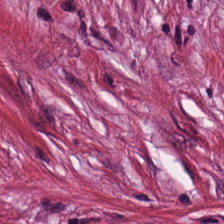Stain: H&E stain.
Tissue type: tumor-associated stroma.
